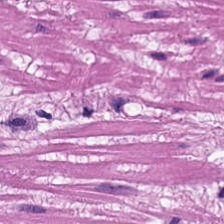Brightfield microscopy. H&E stain.
Predominantly smooth-muscle tissue.
